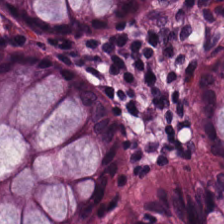H&E-stained tissue section; brightfield microscopy; FFPE tissue section — Q: What is the predominant tissue type?
A: The field shows normal colon mucosa.
